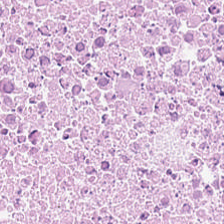Tissue — necrotic debris.
